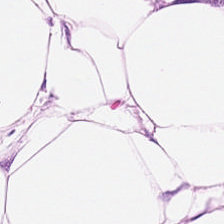Hematoxylin-and-eosin stained section — This field is adipocytes.
